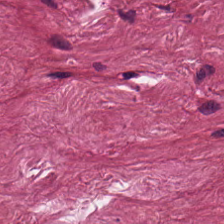Hematoxylin-and-eosin stained section.
The tissue here is desmoplastic stroma.
